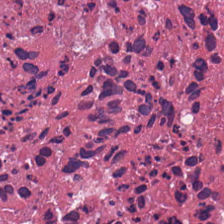Hematoxylin-and-eosin stained section.
Q: What is the predominant tissue type?
A: Debris.
